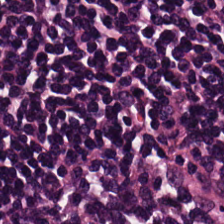FFPE tissue section · H&E stain.
The predominant tissue is lymphocytes.
